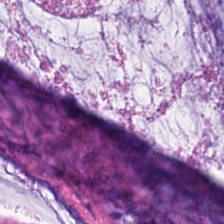224×224 px patch. Hematoxylin-and-eosin stained section — Finding → extracellular mucin.
